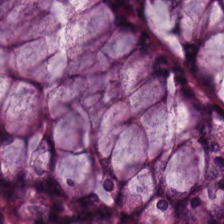Tissue class = normal colon mucosa.
